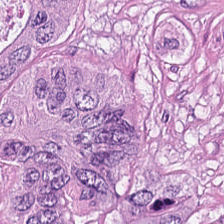Histology — colorectal adenocarcinoma.
